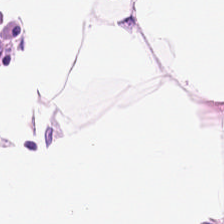The predominant tissue is adipose.
